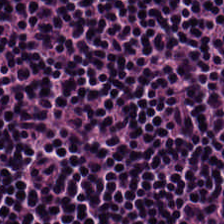Q: What is the predominant tissue type?
A: This is lymphocytic infiltrate.
